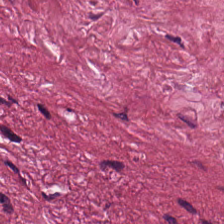H&E. Q: Classify this patch.
A: Desmoplastic stroma.
